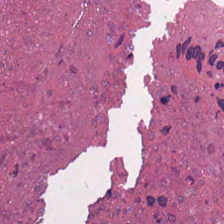H&E stain.
This patch shows cellular debris.
